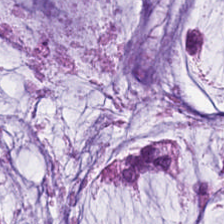Hematoxylin-and-eosin stained section · whole-slide-image patch · 20× equivalent magnification.
Finding — extracellular mucin.
